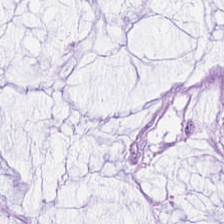H&E-stained tissue section; 0.5 µm per pixel; FFPE.
Tissue type — mucin.
